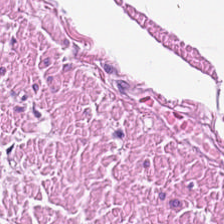Stain: H&E-stained tissue section.
Resolution: 20× equivalent magnification.
Classification: muscularis.
